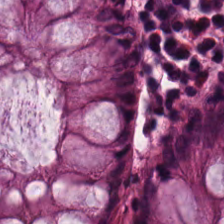224×224 pixel tile; hematoxylin-and-eosin stained section; FFPE. The tissue here is benign colonic mucosa.
